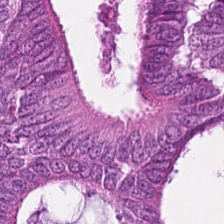H&E-stained tissue section.
The tissue here is tumor epithelium.
